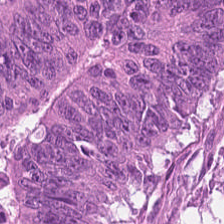H&E stain — Tissue class — tumor epithelium.
